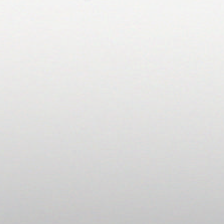Histology → background.
